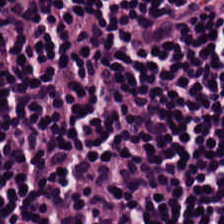Hematoxylin-and-eosin stained section.
Q: What tissue is shown?
A: It is lymphocytes.
